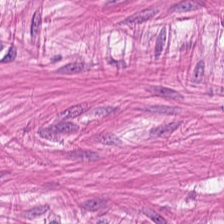Formalin-fixed paraffin-embedded section · hematoxylin and eosin · whole-slide-image patch. This field is muscularis.
